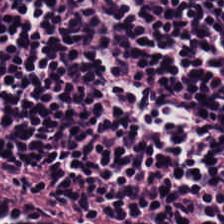H&E — Predominantly lymphocytic infiltrate.
